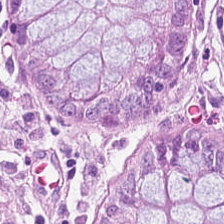H&E-stained tissue section. 20× equivalent magnification. This patch shows normal colon mucosa.
